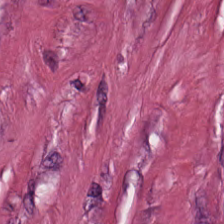Hematoxylin-and-eosin stained section — The tissue here is tumor-associated stroma.
